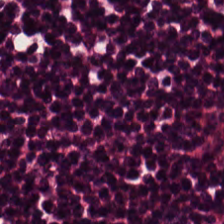Stain: H&E.
Resolution: 0.5 microns per pixel.
Tissue: lymphocyte aggregate.
